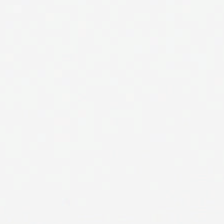H&E stain · brightfield — This field is background (no tissue).
